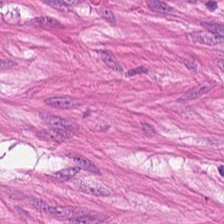20× equivalent magnification; formalin-fixed paraffin-embedded section; H&E.
Predominantly smooth-muscle tissue.
